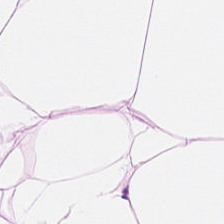0.5 microns per pixel; hematoxylin and eosin. Fat tissue.
